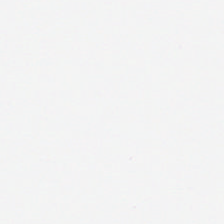Stain: H&E stain.
Classification: background (no tissue).
